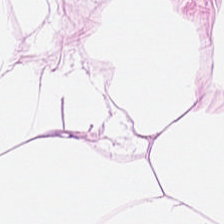Impression → adipose.
